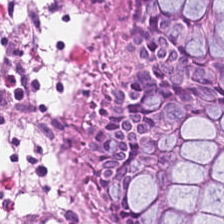H&E.
This field is benign colonic mucosa.
